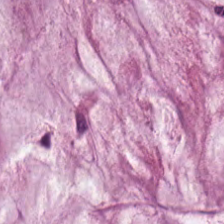H&E stain. Tissue type = mucin.
